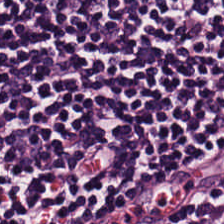0.5 µm per pixel; hematoxylin-and-eosin stained section — This patch shows lymphoid infiltrate.
